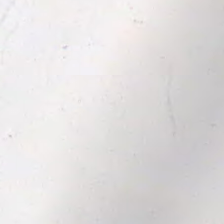H&E.
This field is background (no tissue).
